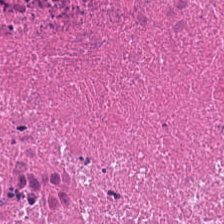Hematoxylin and eosin — This field is necrotic debris.
